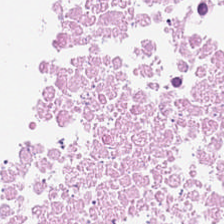H&E-stained section; the field shows necrotic debris.
